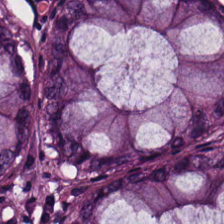Hematoxylin and eosin; FFPE tissue section — Predominantly non-neoplastic colon mucosa.
